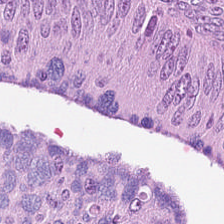FFPE. H&E — The predominant tissue is tumor epithelium.
